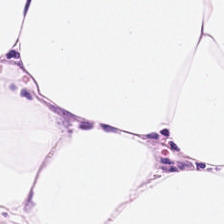Q: What is the predominant tissue type?
A: This is adipocytes.
